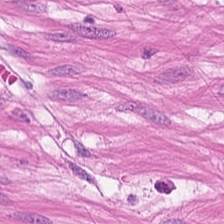20× equivalent magnification. H&E stain.
Histology → muscularis.
